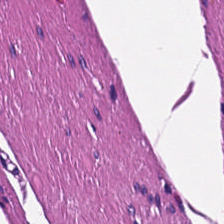0.5 microns per pixel · hematoxylin and eosin. {"tissue_type": "muscularis"}
